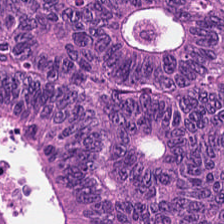Stain: hematoxylin-and-eosin stained section.
Acquisition: whole-slide-image patch.
Predominant tissue: tumor epithelium.
